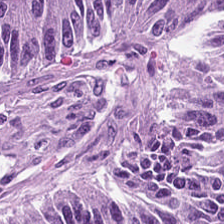H&E-stained tissue section. 0.5 µm per pixel — Histology — colorectal adenocarcinoma epithelium.
